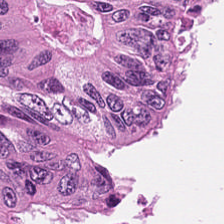Tissue class — necrotic debris.
